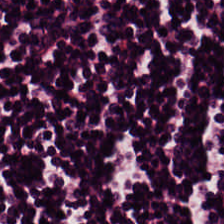H&E stain. FFPE tissue section. 0.5 µm/px — Tissue class: lymphocyte aggregate.
